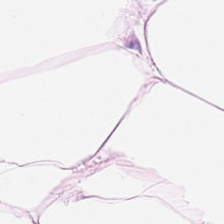H&E-stained tissue section — Tissue class: adipose tissue.
